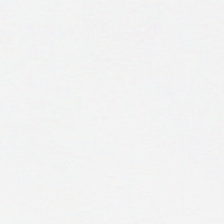Hematoxylin-and-eosin stained section. {"content": "empty background"}
